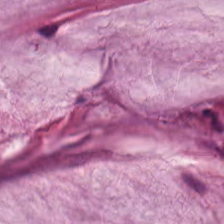Hematoxylin and eosin.
The predominant tissue is extracellular mucin.
